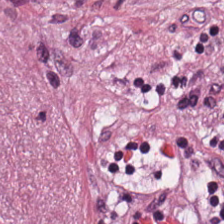Predominant tissue — tumor-associated stroma.
